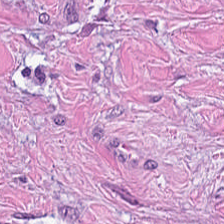H&E stain · formalin-fixed paraffin-embedded section.
The predominant tissue is desmoplastic stroma.
